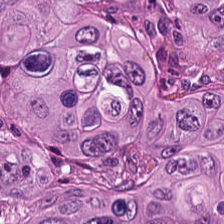224×224 pixel tile · hematoxylin and eosin — Q: What tissue is shown?
A: The field shows colorectal adenocarcinoma epithelium.
